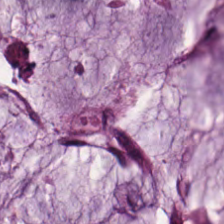H&E stain · WSI patch. Showing extracellular mucin.
